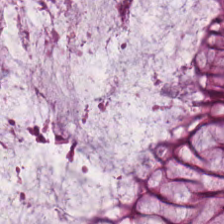H&E. FFPE. 0.5 µm/px.
Q: What is the predominant tissue type?
A: Non-neoplastic colon mucosa.
